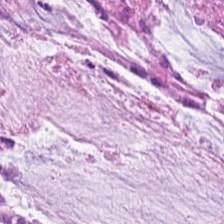Hematoxylin and eosin; 0.5 µm per pixel.
{"tissue_type": "mucus"}
